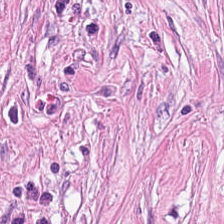0.5 µm/px · H&E-stained tissue section · whole-slide-image patch — Histology — tumor stroma.
